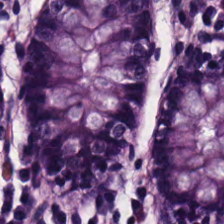Stain: H&E-stained tissue section.
Tissue type: normal colon mucosa.
